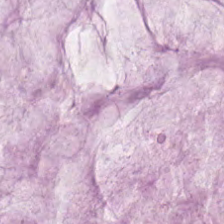Brightfield; H&E stain; 224×224 pixel tile — Q: Identify the tissue.
A: It is mucin.
